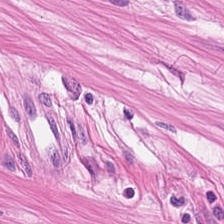{"tissue_type": "smooth muscle"}
